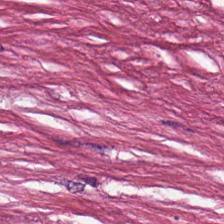H&E stain — Q: What type of tissue is this?
A: This is debris.
